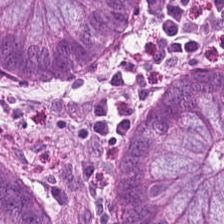The tissue class is non-neoplastic colon mucosa.
